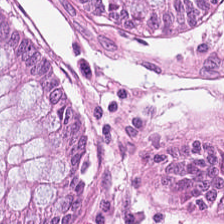Tissue — non-neoplastic colon mucosa.
